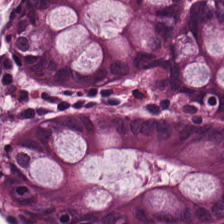224×224 px tile; H&E-stained tissue section. This patch shows benign colonic mucosa.
